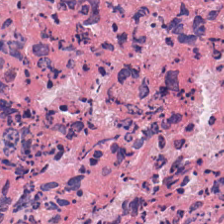Hematoxylin-and-eosin stained section · 0.5 microns per pixel — Showing necrotic debris.
